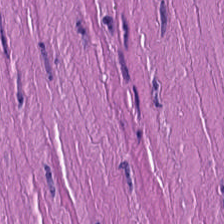H&E-stained tissue section. Q: Classify this patch.
A: This is smooth-muscle tissue.
